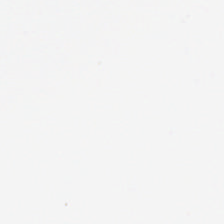0.5 µm/px. Hematoxylin-and-eosin stained section. Field content: background (no tissue).
